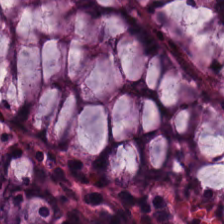H&E. This patch shows normal colonic mucosa.
